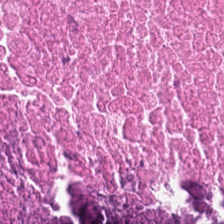Predominant tissue = necrotic debris.
